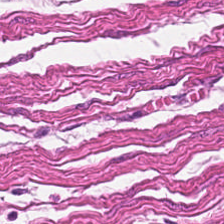Stain: H&E.
Resolution: 0.5 microns per pixel.
Predominant tissue: smooth muscle.
